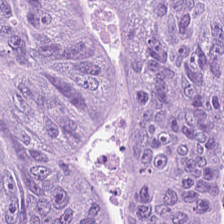Whole-slide-image patch; H&E — The tissue class is tumor epithelium.
